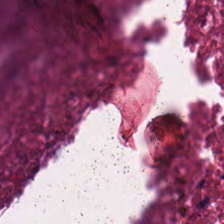H&E. Showing debris.
